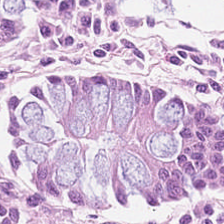H&E. Impression → benign colonic mucosa.
